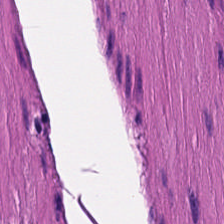Stain: hematoxylin-and-eosin stained section.
Resolution: 0.5 µm per pixel.
Tile size: 224×224 pixel tile.
Tissue class: smooth muscle.
